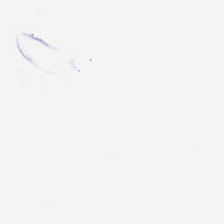0.5 microns per pixel. FFPE. H&E-stained tissue section. Empty background.
